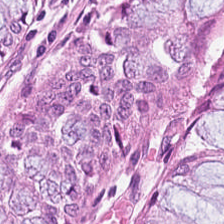Normal colonic mucosa.
